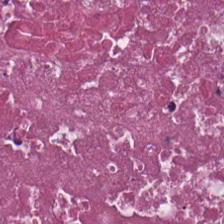H&E — Predominantly debris.
